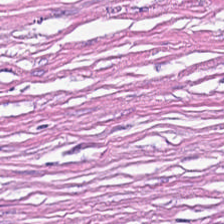H&E. 0.5 microns per pixel — Impression → tumor stroma.
